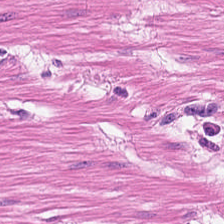Brightfield microscopy. Hematoxylin and eosin.
Q: What tissue type is shown here?
A: Muscularis.
